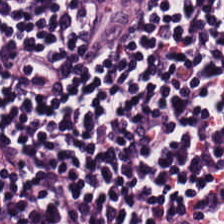Hematoxylin and eosin. Q: What tissue is shown?
A: The field shows lymphoid infiltrate.
